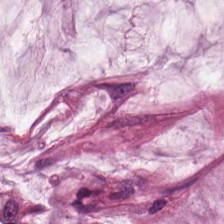Hematoxylin and eosin. Whole-slide-image patch. This field is extracellular mucin.
